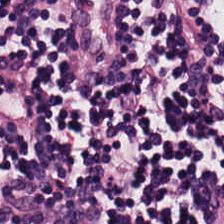H&E-stained tissue section · 224×224 pixel tile · 20× equivalent magnification. Q: What type of tissue is this?
A: The field shows lymphocytic infiltrate.
